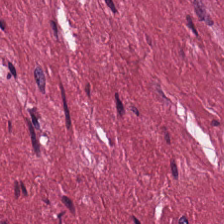H&E-stained tissue section.
Q: What is the predominant tissue type?
A: Tumor stroma.
